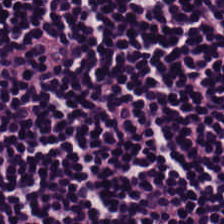H&E stain.
Impression → lymphocytic infiltrate.
